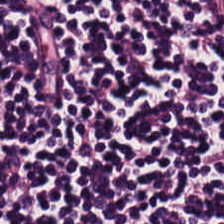Stain: H&E.
Acquisition: whole-slide-image patch.
Tissue class: lymphocytes.
